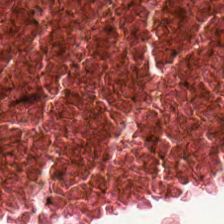H&E stain. 224×224 px patch. Q: What is the predominant tissue type?
A: Debris.
